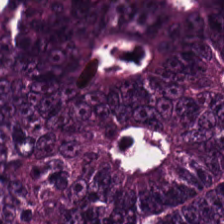H&E-stained section; the field shows malignant epithelium.
